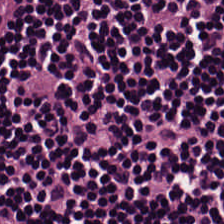Hematoxylin-and-eosin stained section. This patch shows lymphocytes.
